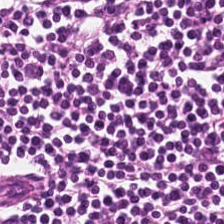Hematoxylin-and-eosin stained section. The classification is lymphoid infiltrate.
